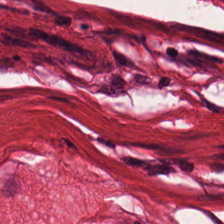Hematoxylin and eosin.
Showing smooth muscle.
